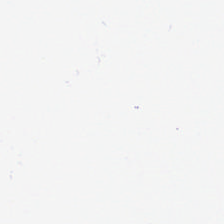H&E — Background — no tissue in this field.
